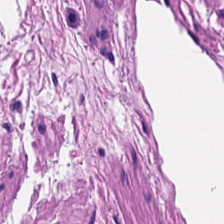Stain: H&E stain.
Tissue: muscularis.
